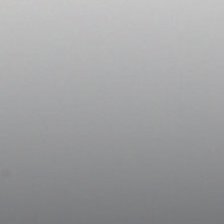Hematoxylin and eosin · FFPE. No tissue present; background only.
